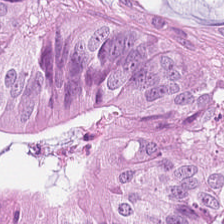Hematoxylin and eosin. Tissue type — malignant epithelium.
